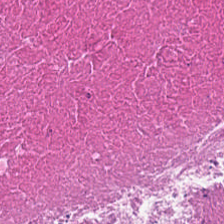Hematoxylin and eosin.
Showing debris.
